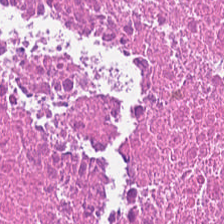224×224 px tile · H&E · brightfield — Classification — debris.
